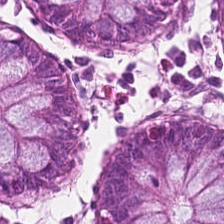224×224 px patch; hematoxylin-and-eosin stained section; brightfield microscopy — {"tissue_type": "normal colon mucosa"}
